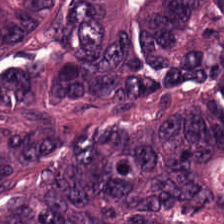0.5 microns per pixel; hematoxylin and eosin — {"tissue_type": "malignant epithelium"}
